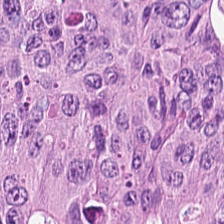Q: What is shown in this field?
A: The field shows malignant epithelium.
